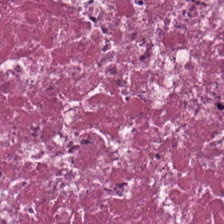H&E. Whole-slide-image patch. Q: What is the predominant tissue type?
A: Debris.
